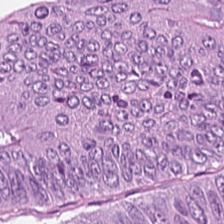H&E stain. 224×224 px tile. Predominantly malignant epithelium.
